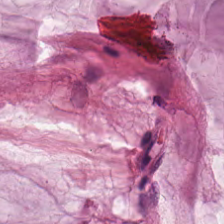Stain: H&E.
Classification: mucus.
